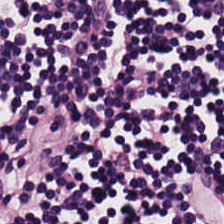H&E stain — This field is lymphoid infiltrate.
